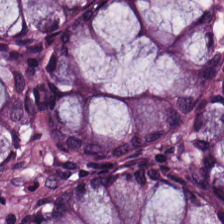Hematoxylin-and-eosin stained section; FFPE. Predominant tissue = non-neoplastic colon mucosa.
